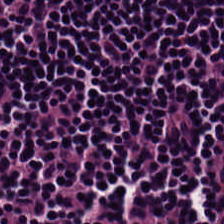Hematoxylin and eosin.
{"tissue_type": "lymphoid infiltrate"}
